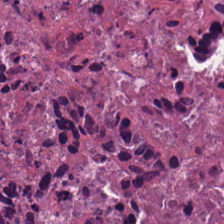Hematoxylin and eosin.
This patch shows debris.
